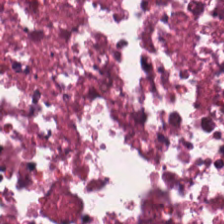Stain: hematoxylin and eosin.
Tissue class: necrotic debris.
